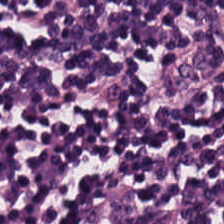Hematoxylin and eosin · 0.5 µm/px.
Tissue class: lymphocyte aggregate.
